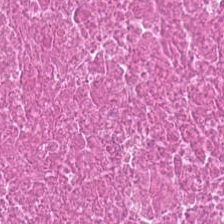Hematoxylin and eosin.
The tissue is debris.
